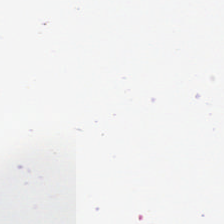This patch shows background (no tissue).
